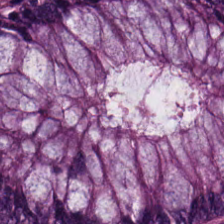H&E. Histology → normal colon mucosa.
